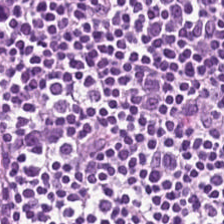Stain: hematoxylin-and-eosin stained section.
Classification: lymphocyte aggregate.
